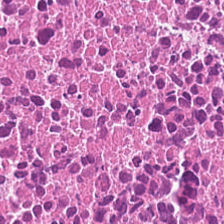Hematoxylin-and-eosin stained section.
Showing necrotic debris.
